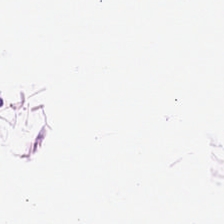This field is adipose tissue.
